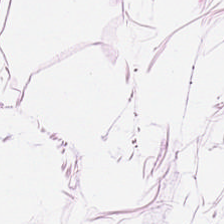H&E-stained tissue section. Finding — adipose.
